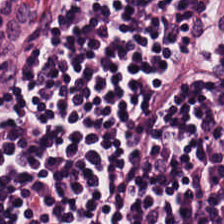Hematoxylin and eosin — Q: What tissue is shown?
A: This is lymphocytic infiltrate.
